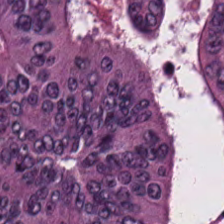0.5 µm/px · H&E. Showing tumor epithelium.
